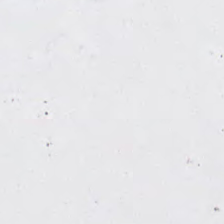Brightfield microscopy; H&E — Q: What does this patch show?
A: Background.
